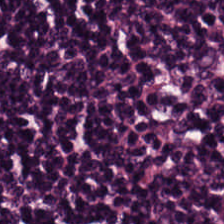Q: What tissue type is shown here?
A: The field shows lymphocytes.
